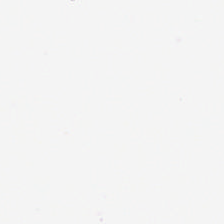Hematoxylin-and-eosin stained section.
Q: Classify this patch.
A: This is no tissue.
